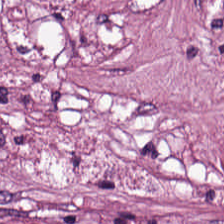Hematoxylin and eosin. Desmoplastic stroma.
